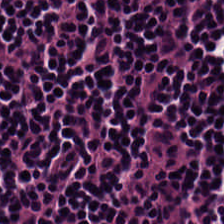Finding — lymphoid infiltrate.
